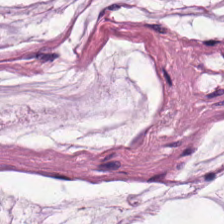H&E-stained tissue section · WSI patch — Showing mucus.
